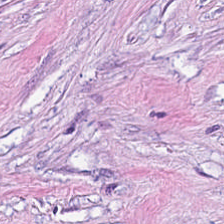Q: What does this patch show?
A: It is desmoplastic stroma.
